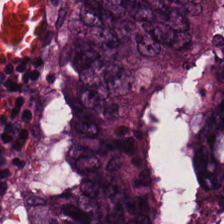Stain: H&E.
Tissue type: malignant epithelium.
